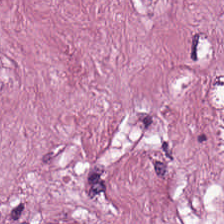Tissue = tumor stroma.
